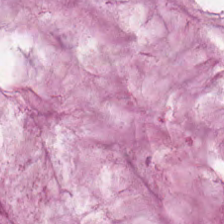Q: What type of tissue is this?
A: Mucin.
